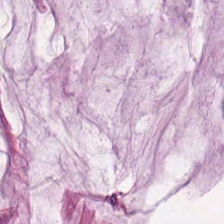H&E stain; 0.5 microns per pixel; 224×224 pixel tile.
Tissue type — mucus.
